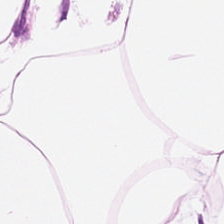Q: What tissue is shown?
A: Adipose.
